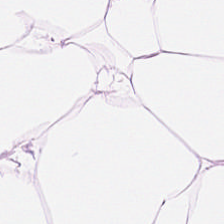Hematoxylin-and-eosin stained section.
Q: What tissue type is shown here?
A: It is adipose tissue.
